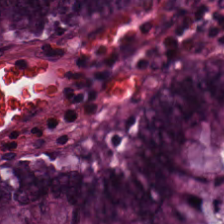Stain: H&E-stained tissue section.
Classification: non-neoplastic colon mucosa.
